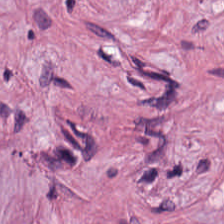H&E-stained section; the field shows cancer-associated stroma.
